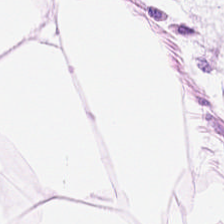Stain: H&E-stained tissue section.
Classification: adipose tissue.
